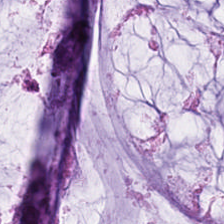H&E-stained tissue section — Q: Identify the tissue.
A: This is mucus.
